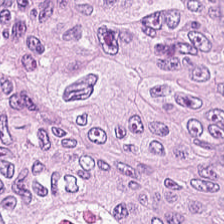Hematoxylin-and-eosin stained section.
Tissue type — colorectal adenocarcinoma.
